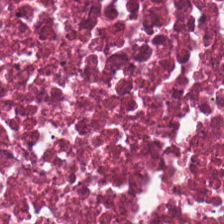H&E stain.
The predominant tissue is necrotic debris.
